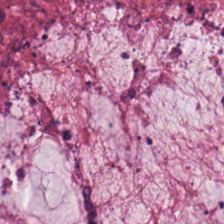Hematoxylin-and-eosin stained section.
This field is mucus.
